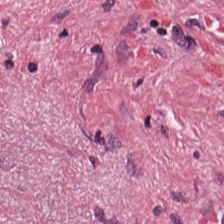This field is desmoplastic stroma.
